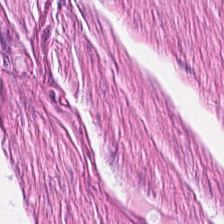H&E — Tissue: muscularis.
